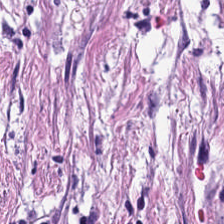Hematoxylin and eosin — This patch shows tumor stroma.
